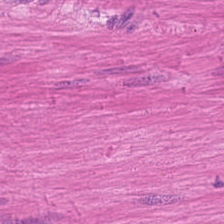Hematoxylin and eosin.
{"tissue_type": "smooth-muscle tissue"}
